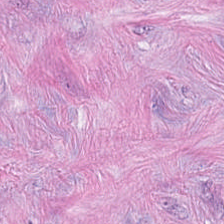Hematoxylin-and-eosin stained section — Finding → tumor stroma.
